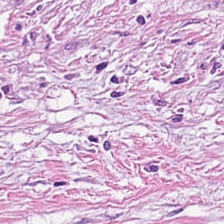Stain: H&E stain.
Preparation: formalin-fixed paraffin-embedded section.
Classification: tumor stroma.
